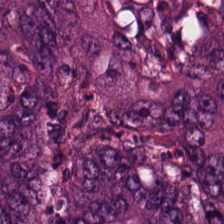H&E stain · brightfield. Predominant tissue — colorectal adenocarcinoma epithelium.
